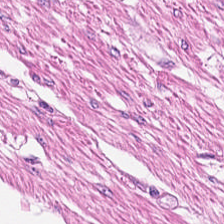Hematoxylin-and-eosin stained section · formalin-fixed paraffin-embedded section. {"tissue_type": "muscularis"}
